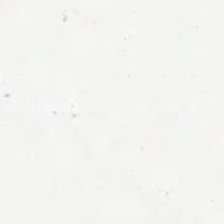H&E — Field content = background (no tissue).
